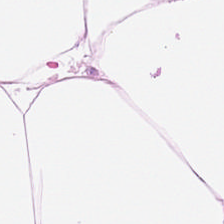Hematoxylin-and-eosin stained section. Q: What tissue type is shown here?
A: Adipose tissue.
